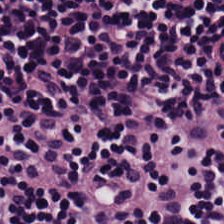Hematoxylin-and-eosin stained section; brightfield microscopy — This patch shows lymphocyte aggregate.
